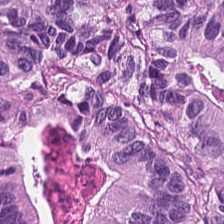Hematoxylin-and-eosin stained section.
Tissue type: malignant epithelium.
